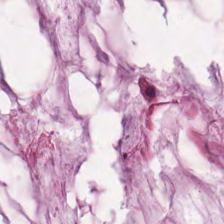H&E stain · 0.5 microns per pixel · FFPE.
Classification = mucin.
